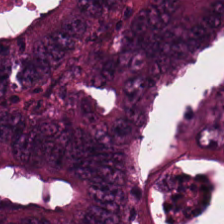H&E-stained tissue section. Showing colorectal adenocarcinoma epithelium.
